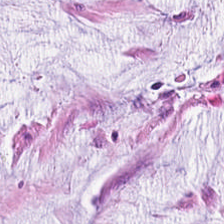0.5 µm per pixel. Hematoxylin and eosin — Predominantly mucus.
